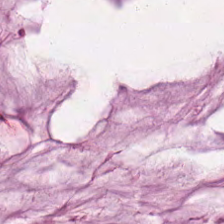H&E. 0.5 µm/px.
The predominant tissue is mucus.
